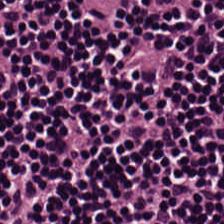224×224 px tile. Hematoxylin and eosin.
Finding — lymphocytic infiltrate.
